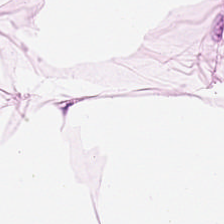Stain: H&E-stained tissue section.
Tissue: adipocytes.
